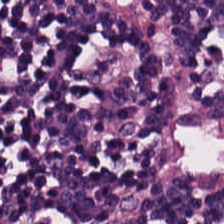Q: Classify this patch.
A: The field shows lymphocytic infiltrate.
